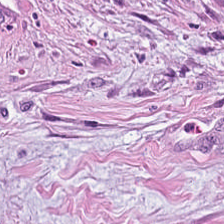Impression → tumor stroma.
